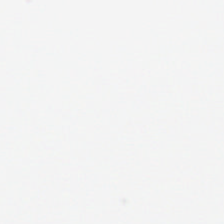Hematoxylin-and-eosin stained section; 224×224 pixel tile — This field is background (no tissue).
